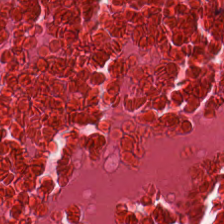H&E-stained tissue section.
Showing necrotic debris.
